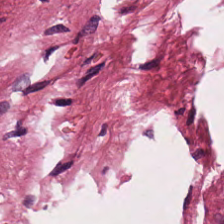H&E · 224×224 px patch · whole-slide-image patch. The tissue here is desmoplastic stroma.
